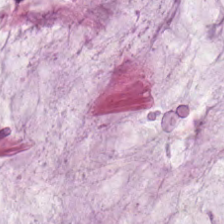Stain: H&E-stained tissue section.
Acquisition: brightfield microscopy.
Preparation: FFPE.
Tissue type: extracellular mucin.
